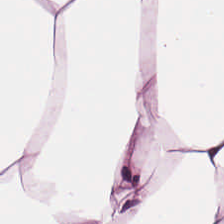Predominantly adipose tissue.
